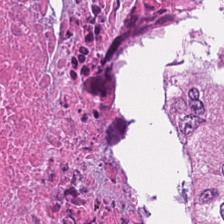Hematoxylin and eosin · 0.5 microns per pixel. This patch shows debris.
